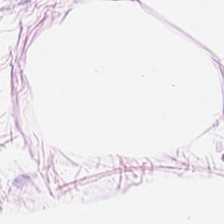Hematoxylin and eosin — The tissue is fat tissue.
